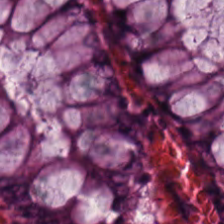H&E. Brightfield.
This field is non-neoplastic colon mucosa.
